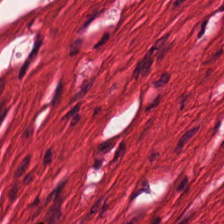Stain: hematoxylin and eosin.
Predominant tissue: smooth-muscle tissue.
